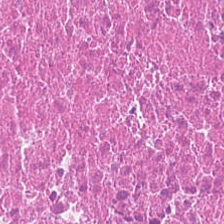The classification is debris.
